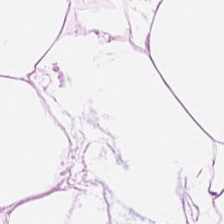Hematoxylin and eosin. Predominantly adipose tissue.
